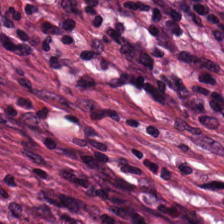Tissue type = tumor stroma.
